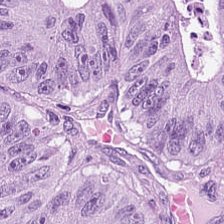H&E stain.
Impression — tumor epithelium.
